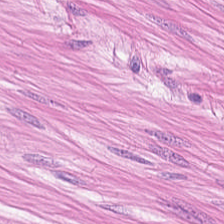Hematoxylin and eosin. Predominantly smooth-muscle tissue.
